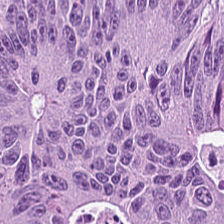Stain: H&E.
Classification: malignant epithelium.
